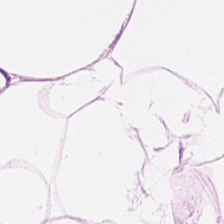Hematoxylin-and-eosin stained section.
This patch shows adipocytes.
